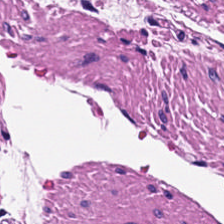Q: What does this patch show?
A: It is smooth muscle.
